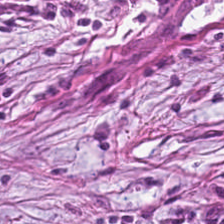H&E-stained tissue section; WSI patch; FFPE. Tissue = cancer-associated stroma.
